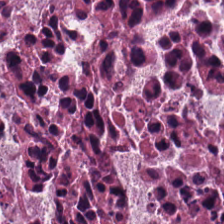0.5 microns per pixel; hematoxylin-and-eosin stained section; FFPE.
Tissue type = debris.
